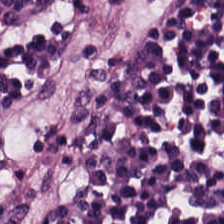Stain: hematoxylin-and-eosin stained section.
Predominant tissue: lymphocytes.
